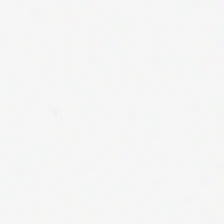No tissue present; background only.
